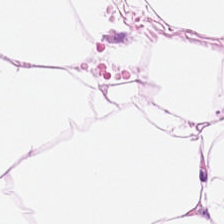H&E stain. Finding → adipocytes.
